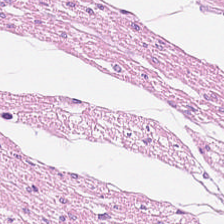Hematoxylin and eosin — The predominant tissue is smooth-muscle tissue.
